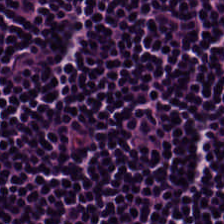H&E-stained section; the field shows lymphocytes.
